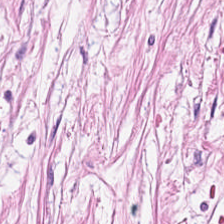FFPE · brightfield · H&E stain. {"tissue_type": "desmoplastic stroma"}
